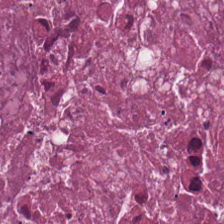Tissue = debris.
